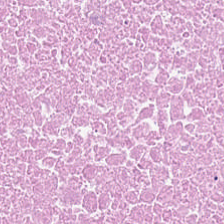Formalin-fixed paraffin-embedded section · H&E. This patch shows necrotic debris.
